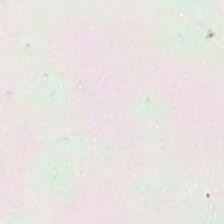H&E-stained tissue section · 224×224 pixel tile · FFPE tissue section. Background (no tissue).
